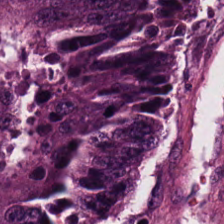FFPE tissue section; hematoxylin and eosin. Tissue type: adenocarcinoma.
